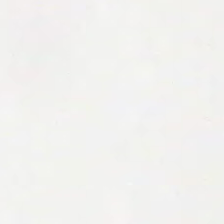Whole-slide-image patch. Hematoxylin and eosin.
Empty field — background (no tissue).
